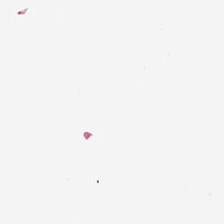224×224 pixel tile · hematoxylin-and-eosin stained section. Q: Classify this patch.
A: It is empty background.
